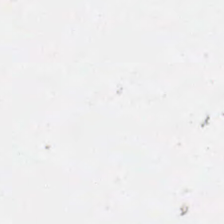No tissue.
